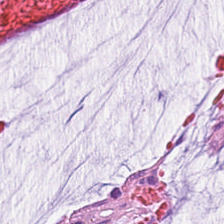H&E — Extracellular mucin.
